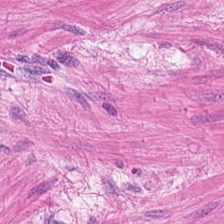Hematoxylin and eosin.
This patch shows smooth-muscle tissue.
